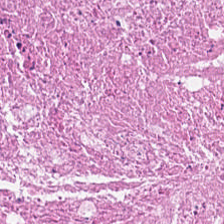This field is necrotic debris.
